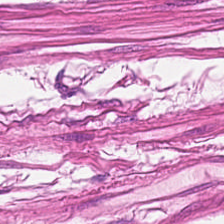H&E — Histology — smooth muscle.
